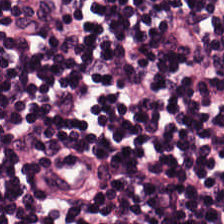Q: What tissue is shown?
A: The field shows lymphocyte aggregate.
